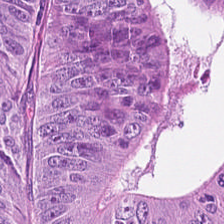H&E-stained tissue section; FFPE — Tissue class = colorectal adenocarcinoma.
